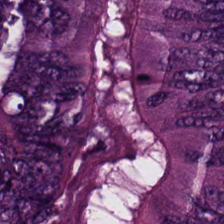Q: Classify this patch.
A: This is colorectal adenocarcinoma.
